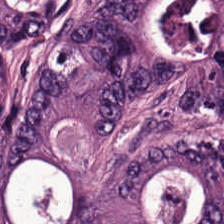Hematoxylin and eosin. The tissue is malignant epithelium.
